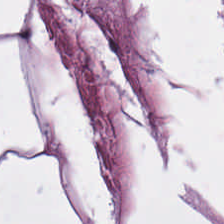Stain: H&E stain.
Tile size: 224×224 px patch.
Classification: fat tissue.
